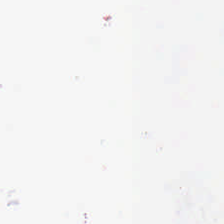H&E-stained tissue section. Content: background (no tissue).
